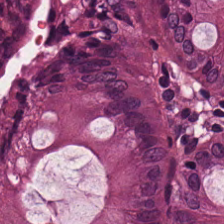Whole-slide-image patch; hematoxylin-and-eosin stained section. Showing normal colon mucosa.
